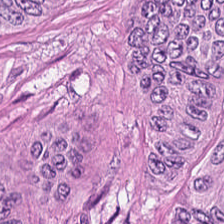Brightfield; H&E-stained tissue section. The tissue here is malignant epithelium.
